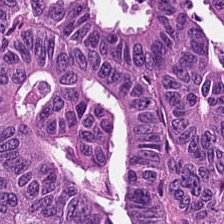H&E-stained tissue section · 224×224 px patch.
Q: What does this patch show?
A: The field shows colorectal adenocarcinoma.
